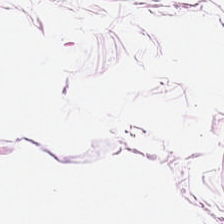Hematoxylin-and-eosin stained section — Showing fat tissue.
